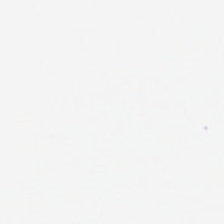Hematoxylin-and-eosin stained section. Q: What is shown in this field?
A: The field shows no tissue.
